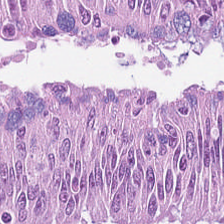Tissue type = adenocarcinoma.
